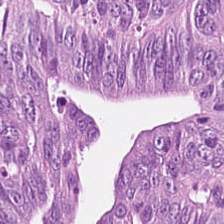H&E-stained tissue section.
This patch shows colorectal adenocarcinoma.
